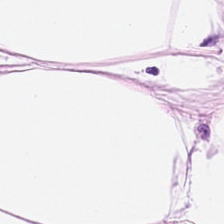H&E-stained tissue section · 224×224 px tile · whole-slide-image patch — This field is adipose tissue.
